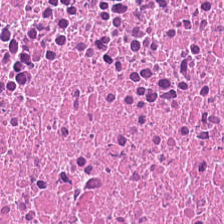H&E-stained tissue section · formalin-fixed paraffin-embedded section.
Tissue type — debris.
